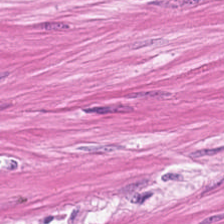H&E-stained tissue section. Smooth muscle.
